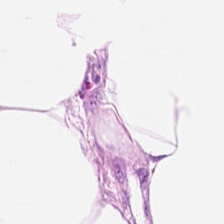H&E · FFPE tissue section — Classification — adipose.
